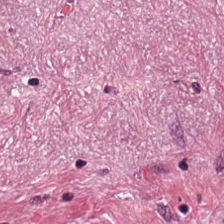Classification = tumor-associated stroma.
